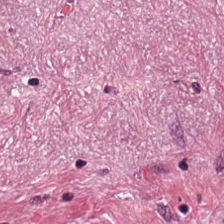Classification = tumor-associated stroma.
